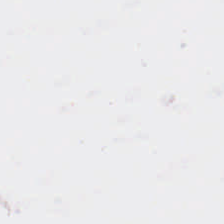Hematoxylin and eosin; 224×224 px tile — Empty field — no tissue.
